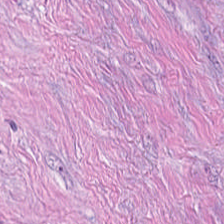Stain: H&E.
Acquisition: brightfield microscopy.
Resolution: 0.5 µm per pixel.
Tissue type: cancer-associated stroma.
